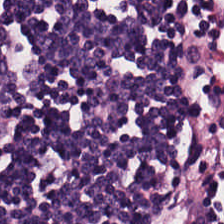Hematoxylin-and-eosin stained section; formalin-fixed paraffin-embedded section — The classification is lymphoid infiltrate.
